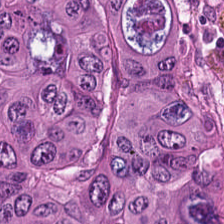Hematoxylin and eosin.
Showing adenocarcinoma.
